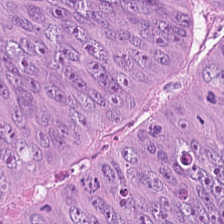Stain: hematoxylin-and-eosin stained section.
Classification: colorectal adenocarcinoma epithelium.
